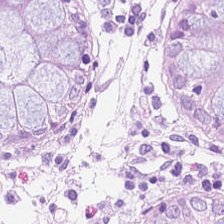H&E stain — Normal colon mucosa.
